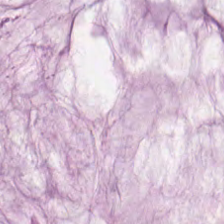Hematoxylin and eosin.
Histology — mucus.
